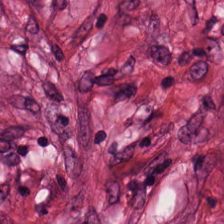Stain: H&E.
Resolution: 0.5 µm/px.
Classification: desmoplastic stroma.
